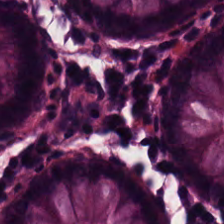H&E-stained section; the field shows normal colonic mucosa.
